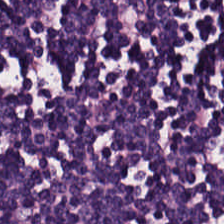Hematoxylin-and-eosin stained section; FFPE — Predominantly lymphocytes.
